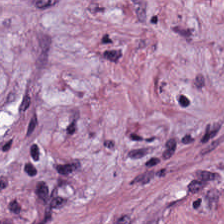H&E. The tissue is tumor stroma.
